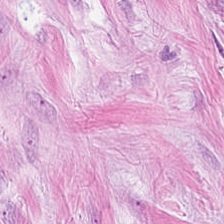Brightfield · formalin-fixed paraffin-embedded section · hematoxylin and eosin. The tissue class is tumor-associated stroma.
